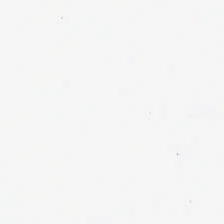H&E-stained tissue section; FFPE tissue section.
Finding → background (no tissue).
